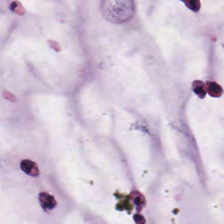Hematoxylin-and-eosin stained section.
Q: What is the predominant tissue type?
A: This is mucus.
